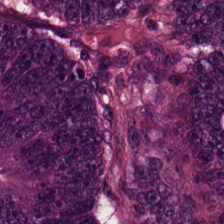Stain: hematoxylin and eosin.
Acquisition: brightfield microscopy.
Resolution: 0.5 µm per pixel.
Tissue: adenocarcinoma.
